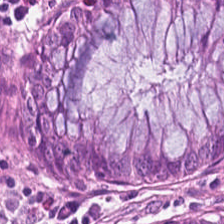Hematoxylin-and-eosin stained section; FFPE tissue section. This patch shows normal colonic mucosa.
